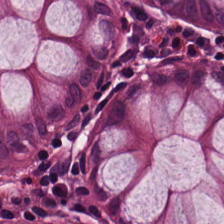H&E.
This field is normal colon mucosa.
